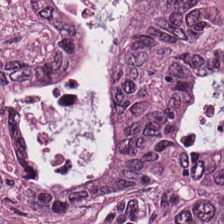FFPE; H&E; 20× equivalent magnification — Tissue class: tumor epithelium.
